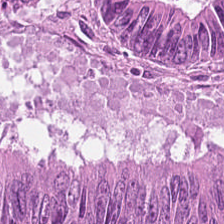H&E-stained tissue section — {"tissue_type": "tumor epithelium"}
